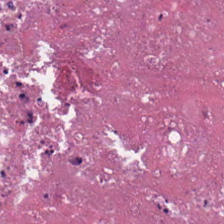224×224 px patch; H&E.
Predominantly necrotic debris.
